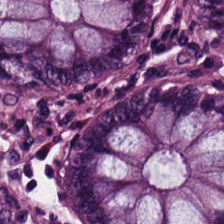Hematoxylin and eosin — Q: Classify this patch.
A: Normal colon mucosa.
